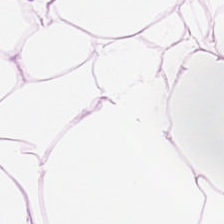This patch shows adipose.
